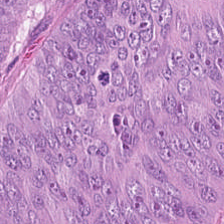Brightfield. Hematoxylin and eosin — {"tissue_type": "adenocarcinoma"}
